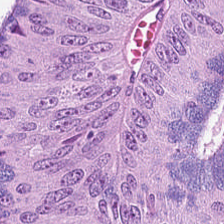FFPE tissue section; H&E. The classification is colorectal adenocarcinoma epithelium.
